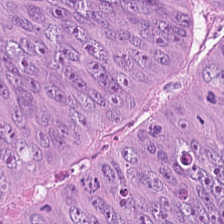Hematoxylin-and-eosin stained section. 224×224 px patch. Classification = malignant epithelium.
